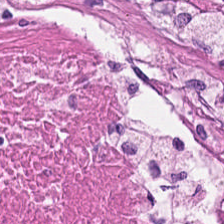H&E. Q: What does this patch show?
A: It is debris.
